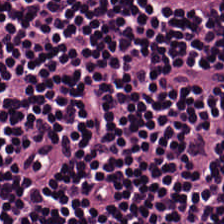Whole-slide-image patch. Hematoxylin and eosin. FFPE tissue section — Tissue type: lymphocyte aggregate.
